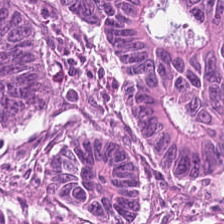224×224 pixel tile; hematoxylin-and-eosin stained section — Predominantly malignant epithelium.
